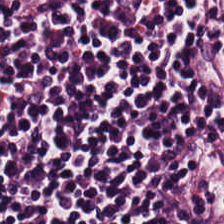H&E-stained tissue section.
Finding — lymphoid infiltrate.
